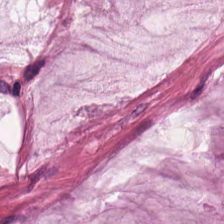H&E-stained tissue section · brightfield · FFPE tissue section — Tissue class — mucin.
